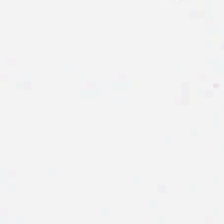Hematoxylin and eosin — This field is background (no tissue).
